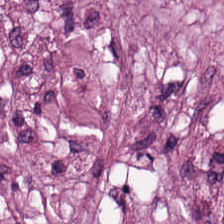Hematoxylin and eosin.
Predominantly cancer-associated stroma.
